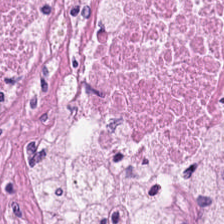H&E stain. FFPE tissue section.
Cellular debris.
